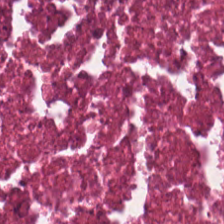224×224 pixel tile; H&E stain; FFPE. Q: What is shown in this field?
A: Necrotic debris.
